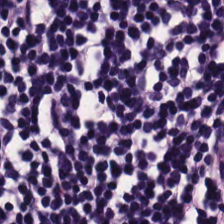224×224 px tile; H&E; FFPE tissue section.
Lymphoid infiltrate.
